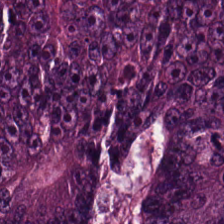Stain: H&E-stained tissue section.
Acquisition: WSI patch.
Resolution: 0.5 µm per pixel.
Tissue class: colorectal adenocarcinoma.
